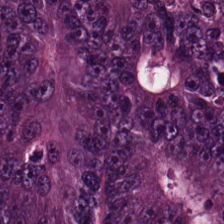Stain: hematoxylin-and-eosin stained section.
Acquisition: WSI patch.
Classification: adenocarcinoma.
